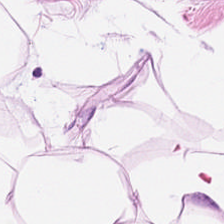H&E-stained tissue section. Tissue class — fat tissue.
